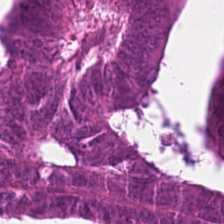Stain: hematoxylin and eosin.
Resolution: 20× equivalent magnification.
Predominant tissue: colorectal adenocarcinoma.
